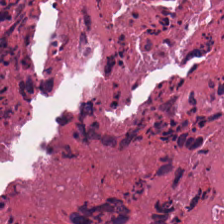Hematoxylin-and-eosin stained section · 224×224 pixel tile — Predominantly necrotic debris.
